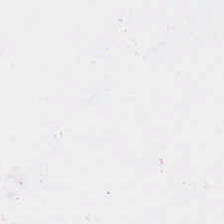Hematoxylin and eosin; 0.5 µm per pixel. Q: What is shown here?
A: The field shows no tissue.
